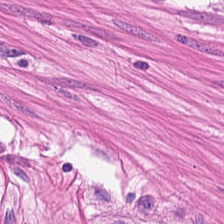Formalin-fixed paraffin-embedded section. H&E stain. The predominant tissue is smooth muscle.
